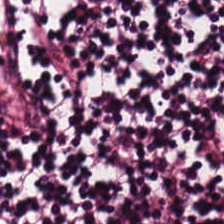20× equivalent magnification. WSI patch. H&E — The tissue here is lymphoid infiltrate.
